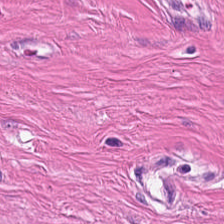H&E stain; 0.5 microns per pixel — Q: What tissue is shown?
A: Smooth-muscle tissue.
